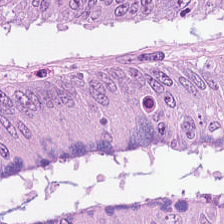{"tissue_type": "adenocarcinoma"}
